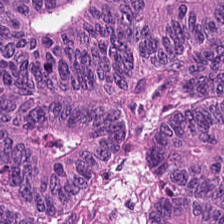20× equivalent magnification; FFPE; H&E-stained tissue section — Predominant tissue = colorectal adenocarcinoma.
